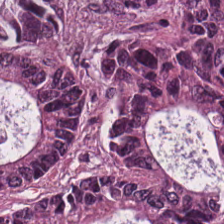Formalin-fixed paraffin-embedded section. 224×224 px tile. H&E.
The tissue is malignant epithelium.
